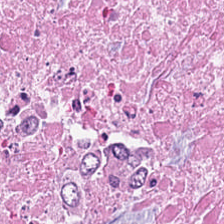H&E — necrotic debris.
